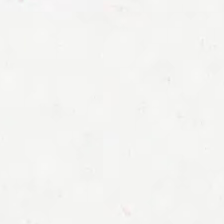Finding — background.
